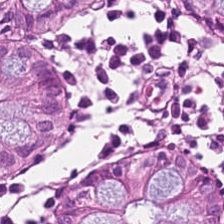H&E-stained tissue section. Tissue class — normal colon mucosa.
